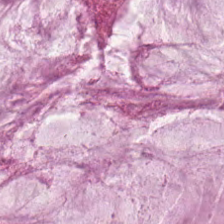H&E; 0.5 µm/px; 224×224 pixel tile — Classification = mucin.
